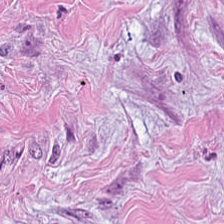H&E; 224×224 px patch; 20× equivalent magnification. The predominant tissue is desmoplastic stroma.
